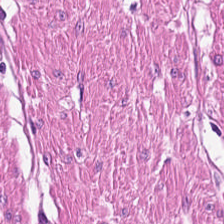FFPE · 20× equivalent magnification · H&E.
Q: What type of tissue is this?
A: This is smooth-muscle tissue.
